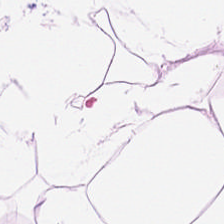H&E stain · WSI patch — Q: What is shown here?
A: This is adipocytes.
